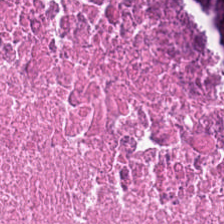Hematoxylin-and-eosin stained section. Classification — necrotic debris.
